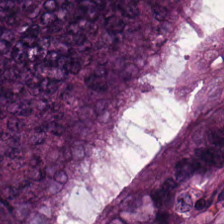20× equivalent magnification. WSI patch. Hematoxylin and eosin. Showing malignant epithelium.
